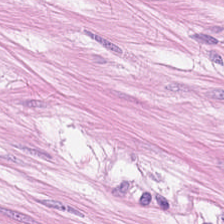H&E-stained section; the field shows muscularis.
